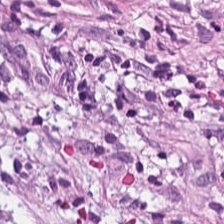H&E-stained tissue section. Showing desmoplastic stroma.
